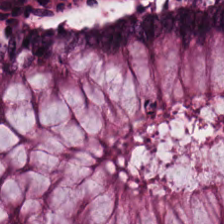Hematoxylin-and-eosin stained section.
This patch shows non-neoplastic colon mucosa.
